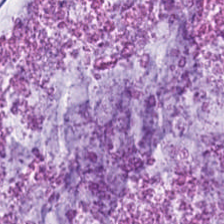Stain: hematoxylin and eosin.
Preparation: FFPE.
Tissue: mucus.
